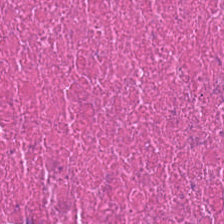H&E.
Q: Identify the tissue.
A: Debris.
